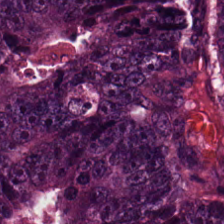Hematoxylin-and-eosin stained section · 224×224 px patch.
Classification: adenocarcinoma.
